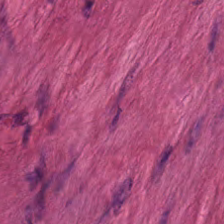224×224 px tile; H&E stain.
Q: What is the predominant tissue type?
A: The field shows smooth-muscle tissue.
